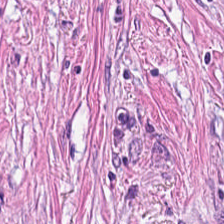H&E. Impression → tumor stroma.
